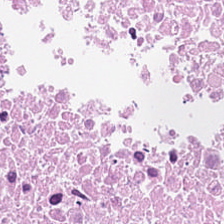H&E. This patch shows cellular debris.
